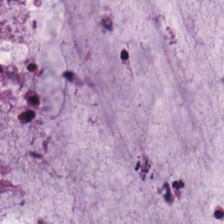0.5 µm per pixel. Hematoxylin and eosin. FFPE — This field is mucus.
